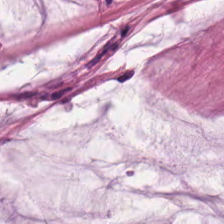H&E-stained tissue section. Tissue class: mucin.
